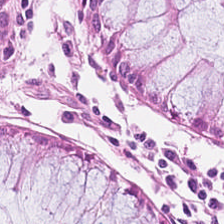This patch shows normal colon mucosa.
